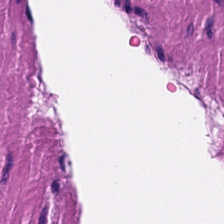H&E-stained tissue section · brightfield · 224×224 px patch. Classification — muscularis.
